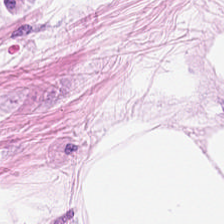Classification = fat tissue.
